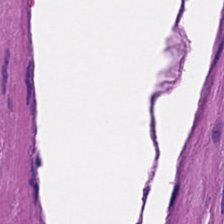224×224 px tile · H&E — This field is smooth-muscle tissue.
